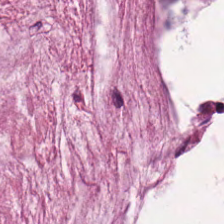FFPE. Hematoxylin-and-eosin stained section — The tissue here is mucin.
